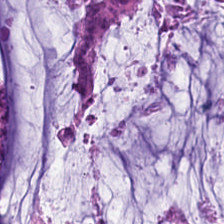H&E stain — Finding — mucin.
